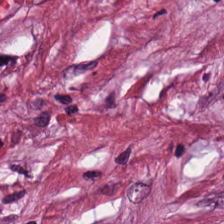This field is tumor-associated stroma.
